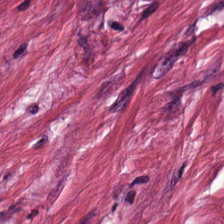Hematoxylin and eosin. WSI patch — Showing cancer-associated stroma.
